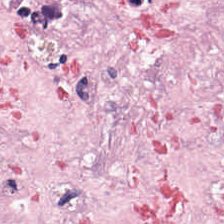Impression — cancer-associated stroma.
